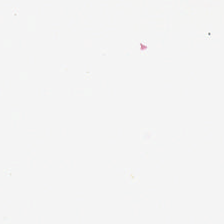H&E. Impression → background.
